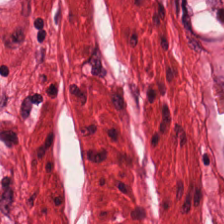Q: What type of tissue is this?
A: The field shows smooth muscle.
